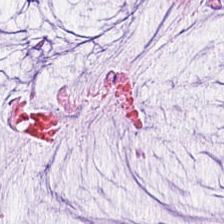H&E-stained tissue section.
Showing extracellular mucin.
